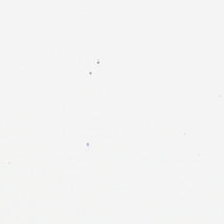Hematoxylin-and-eosin stained section. FFPE tissue section — No tissue present; background only.
